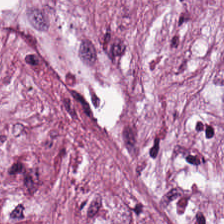H&E — The predominant tissue is tumor stroma.
